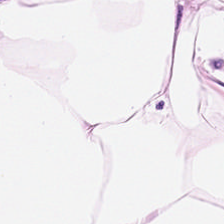Hematoxylin-and-eosin stained section · FFPE tissue section.
Q: Classify this patch.
A: Adipocytes.
